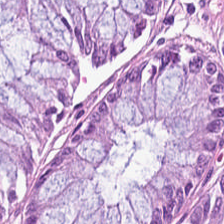H&E; WSI patch; formalin-fixed paraffin-embedded section — The tissue class is non-neoplastic colon mucosa.
